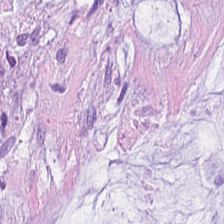Tissue class: mucus.
